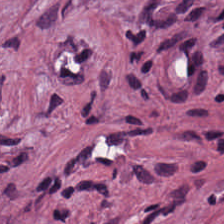H&E. The tissue class is desmoplastic stroma.
